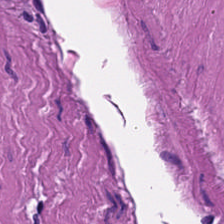Q: What is the predominant tissue type?
A: Smooth-muscle tissue.
